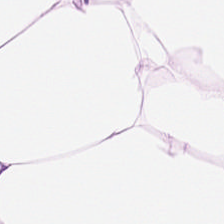Whole-slide-image patch; 224×224 pixel tile; hematoxylin and eosin.
Tissue type = fat tissue.
